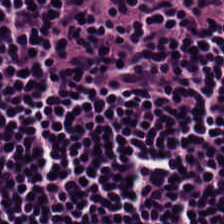H&E stain; 224×224 px tile; WSI patch.
The predominant tissue is lymphocytes.
